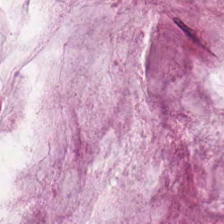Predominantly mucus.
